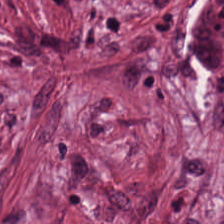H&E · 0.5 microns per pixel.
This patch shows cancer-associated stroma.
